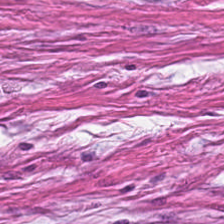Formalin-fixed paraffin-embedded section · hematoxylin-and-eosin stained section — Q: What is shown here?
A: It is tumor stroma.
